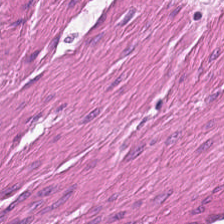H&E-stained tissue section · formalin-fixed paraffin-embedded section · 224×224 pixel tile — Predominantly smooth muscle.
